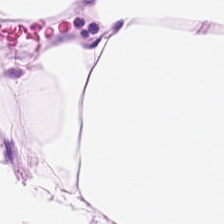Hematoxylin-and-eosin stained section — The classification is fat tissue.
